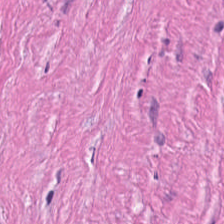Stain: H&E stain.
Tissue: desmoplastic stroma.
